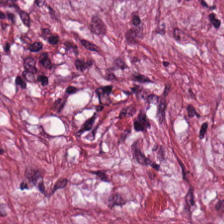H&E stain. Showing tumor-associated stroma.
